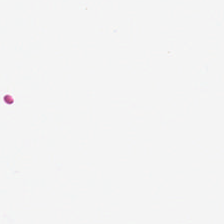H&E stain.
{"content": "background"}
